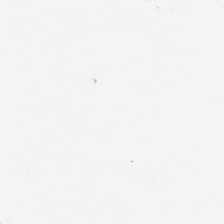Hematoxylin-and-eosin stained section. This field is background (no tissue).
